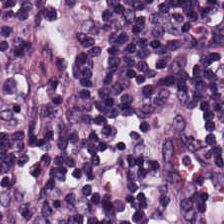H&E stain; WSI patch; 224×224 px tile.
Q: What tissue is shown?
A: Lymphoid infiltrate.
